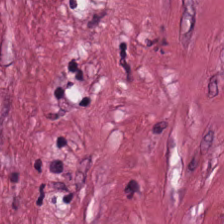0.5 microns per pixel; hematoxylin and eosin — The tissue here is tumor-associated stroma.
